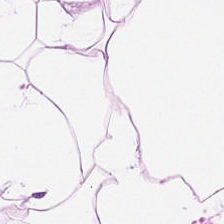WSI patch. Hematoxylin and eosin. Histology — adipose.
